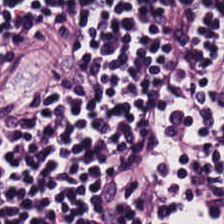Predominant tissue: lymphocytic infiltrate.
